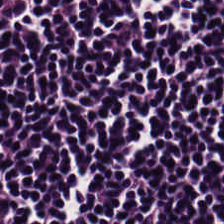Hematoxylin-and-eosin stained section.
Classification = lymphocyte aggregate.
